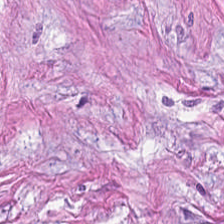H&E-stained tissue section. Formalin-fixed paraffin-embedded section.
Predominantly cancer-associated stroma.
